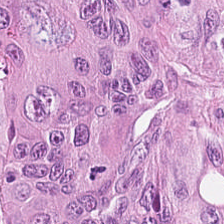Predominant tissue = tumor epithelium.
